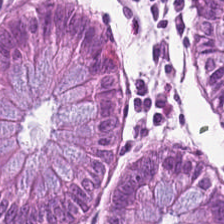Hematoxylin and eosin.
Tissue = non-neoplastic colon mucosa.
